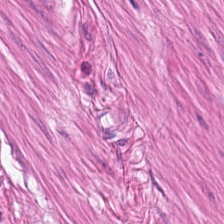H&E stain. Smooth-muscle tissue.
